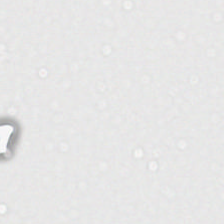Hematoxylin-and-eosin stained section. Content — no tissue.
